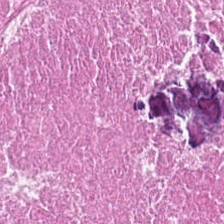Hematoxylin and eosin. {"tissue_type": "cellular debris"}
